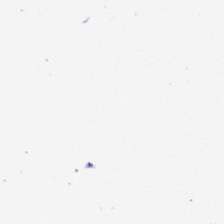0.5 µm/px. H&E stain — Content = background (no tissue).
